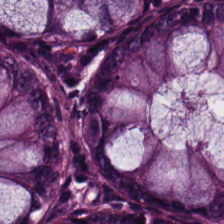Hematoxylin and eosin. Tissue type — normal colonic mucosa.
